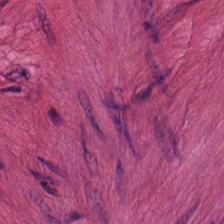FFPE tissue section. H&E stain. Q: What type of tissue is this?
A: This is muscularis.
